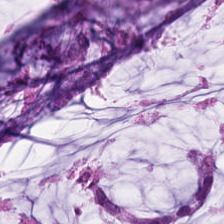Q: What tissue is shown?
A: This is mucus.
